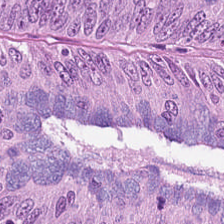Stain: hematoxylin and eosin.
Predominant tissue: colorectal adenocarcinoma epithelium.
